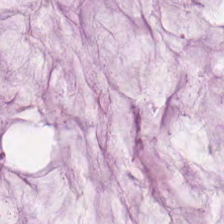20× equivalent magnification; hematoxylin and eosin.
Extracellular mucin.
